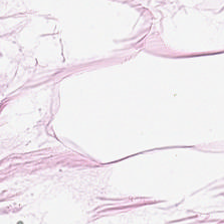Brightfield microscopy. 0.5 microns per pixel. Hematoxylin-and-eosin stained section — Predominant tissue — adipose tissue.
